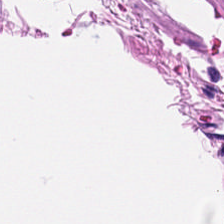Stain: hematoxylin and eosin.
Resolution: 20× equivalent magnification.
Preparation: FFPE tissue section.
Tissue: muscularis.
